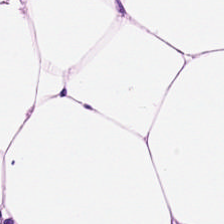Stain: H&E stain.
Classification: adipose tissue.
